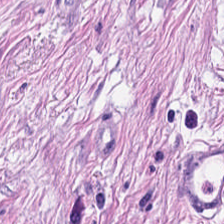Smooth-muscle tissue.
